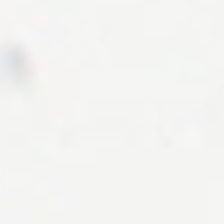H&E-stained tissue section. FFPE tissue section. 224×224 px tile.
Content: background (no tissue).
